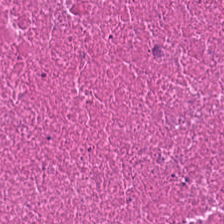H&E-stained tissue section. {"tissue_type": "cellular debris"}
